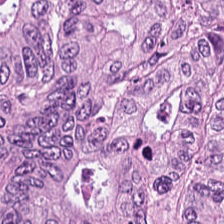H&E.
Q: What tissue type is shown here?
A: The field shows colorectal adenocarcinoma.
